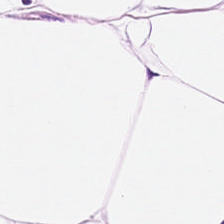Tissue type: fat tissue.
